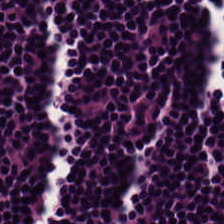224×224 px tile; FFPE tissue section; H&E stain. Impression — lymphocytic infiltrate.
